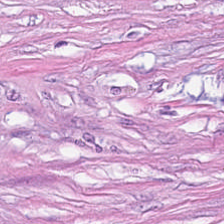Hematoxylin-and-eosin stained section.
Predominant tissue — desmoplastic stroma.
